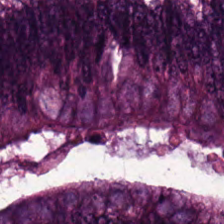H&E-stained tissue section.
Finding — adenocarcinoma.
